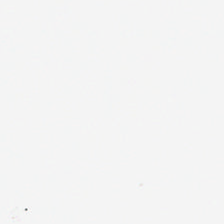Hematoxylin-and-eosin stained section.
The content is background (no tissue).
